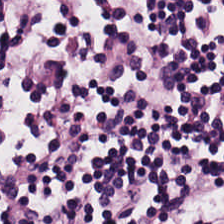Hematoxylin and eosin.
Q: Classify this patch.
A: This is lymphocytes.
